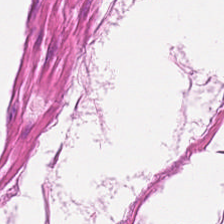H&E. FFPE tissue section. 20× equivalent magnification. Q: What is shown here?
A: It is smooth muscle.
